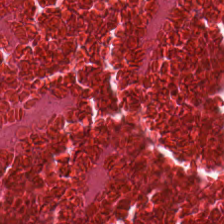Stain: H&E-stained tissue section.
Tile size: 224×224 pixel tile.
Tissue type: debris.
